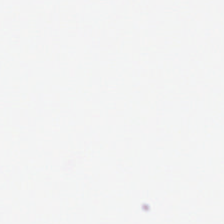H&E. 0.5 µm/px.
Histology — empty background.
